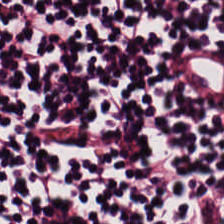Hematoxylin-and-eosin section: lymphoid infiltrate.
